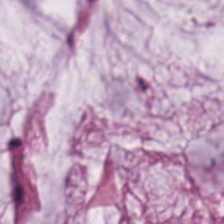H&E stain; 224×224 px patch. Tissue type — mucin.
